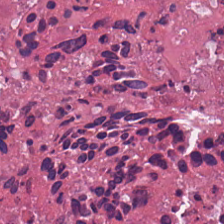Classification: debris.
